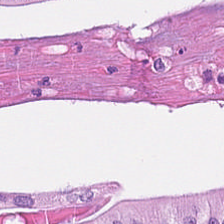Hematoxylin and eosin. 20× equivalent magnification. 224×224 pixel tile — Tissue = tumor epithelium.
